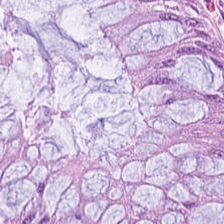H&E — non-neoplastic colon mucosa.
